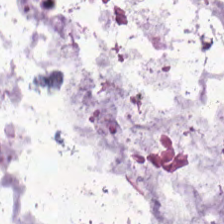Q: What type of tissue is this?
A: The field shows extracellular mucin.
